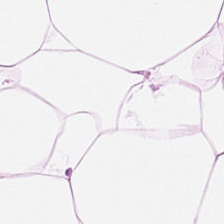Tissue class = adipose tissue.
